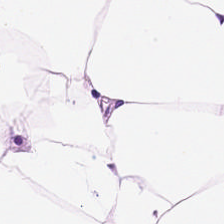224×224 px patch · FFPE tissue section · H&E-stained tissue section.
Fat tissue.
